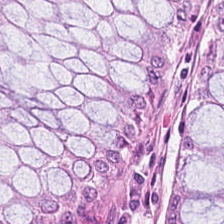Hematoxylin-and-eosin stained section. Predominant tissue: normal colon mucosa.
